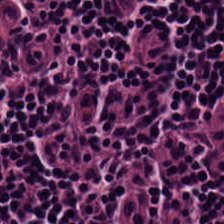The tissue class is lymphocytes.
